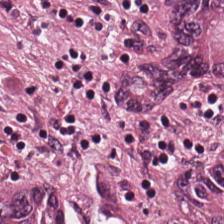Q: What type of tissue is this?
A: It is adenocarcinoma.
